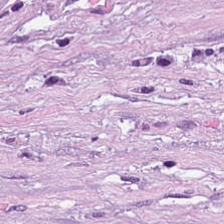H&E-stained tissue section — This field is cancer-associated stroma.
